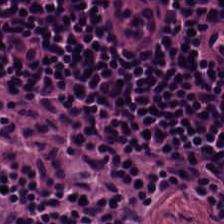H&E stain. This patch shows lymphocyte aggregate.
